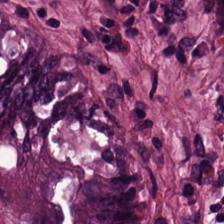H&E stain; 224×224 px patch; FFPE tissue section.
This patch shows adenocarcinoma.
